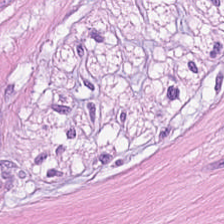Stain: H&E stain.
Tile size: 224×224 px patch.
Tissue: smooth-muscle tissue.
